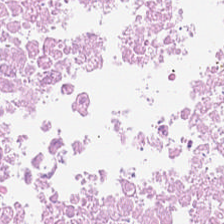Hematoxylin and eosin — Impression → cellular debris.
